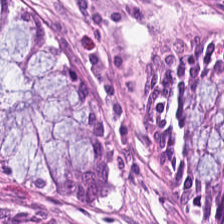H&E-stained tissue section — Q: What tissue type is shown here?
A: The field shows normal colonic mucosa.
